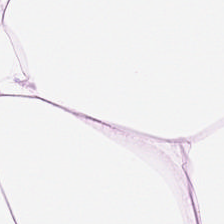224×224 px patch. H&E stain. WSI patch. {"tissue_type": "adipose tissue"}
